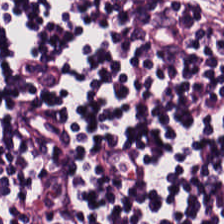This field is lymphocytic infiltrate.
